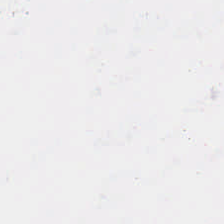0.5 microns per pixel · H&E. Histology — background.
